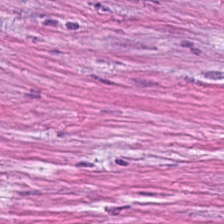FFPE; hematoxylin and eosin; 0.5 µm per pixel.
Impression → tumor-associated stroma.
